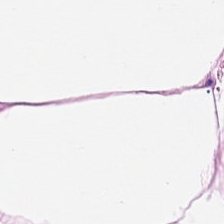224×224 px tile · hematoxylin-and-eosin stained section — Tissue class: adipose.
